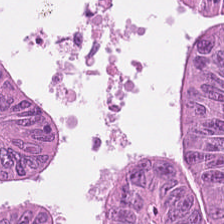Hematoxylin-and-eosin stained section. The predominant tissue is tumor epithelium.
